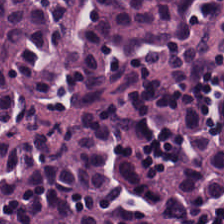{"tissue_type": "lymphocytic infiltrate"}
